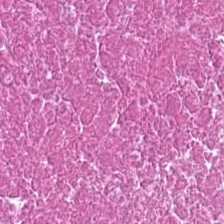Hematoxylin-and-eosin stained section · WSI patch. Predominantly debris.
